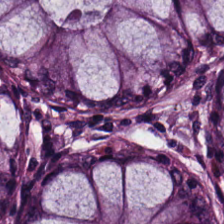Stain: H&E-stained tissue section.
Preparation: FFPE tissue section.
Tissue type: non-neoplastic colon mucosa.
